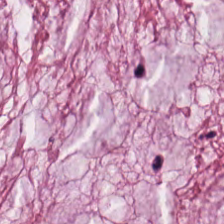H&E stain — Q: What type of tissue is this?
A: Mucin.
